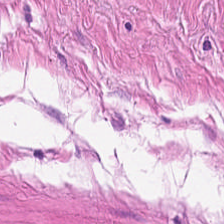H&E.
This field is muscularis.
